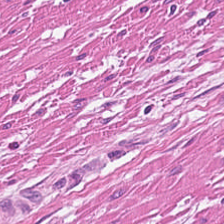WSI patch · 224×224 px tile · hematoxylin-and-eosin stained section — Tissue — muscularis.
